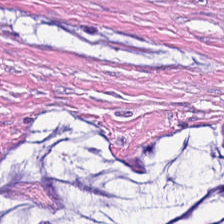H&E-stained tissue section showing tumor stroma.
